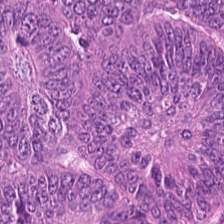This field is tumor epithelium.
